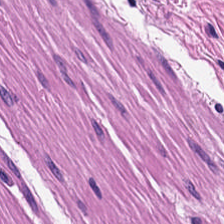This field is smooth-muscle tissue.
